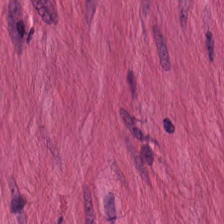Q: What is shown in this field?
A: It is smooth-muscle tissue.
